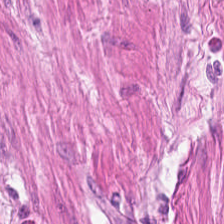Hematoxylin-and-eosin stained section.
This field is muscularis.
